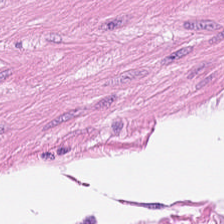H&E stain. Q: What is shown in this field?
A: The field shows smooth muscle.
